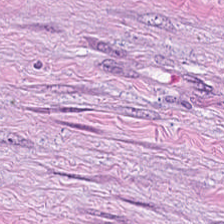Hematoxylin and eosin · brightfield microscopy. {"tissue_type": "desmoplastic stroma"}
